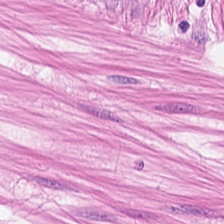H&E stain. Whole-slide-image patch. FFPE. This patch shows smooth muscle.
